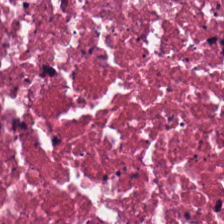The predominant tissue is necrotic debris.
